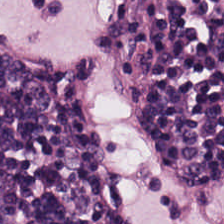H&E stain · formalin-fixed paraffin-embedded section. The tissue is lymphoid infiltrate.
